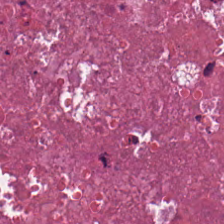Hematoxylin-and-eosin stained section · 0.5 µm/px — The predominant tissue is debris.
